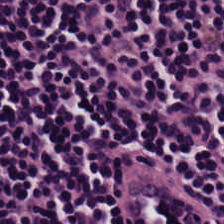Q: What is shown in this field?
A: Lymphoid infiltrate.
